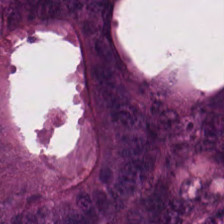Brightfield · H&E stain · 0.5 µm/px. The tissue type is adenocarcinoma.
